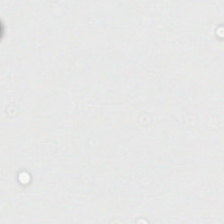Background (no tissue).
